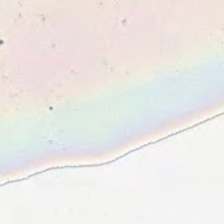Background — no tissue in this field.
